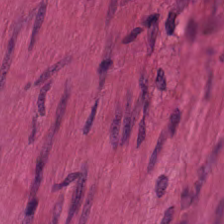Stain: H&E stain.
Preparation: FFPE tissue section.
Predominant tissue: smooth muscle.
